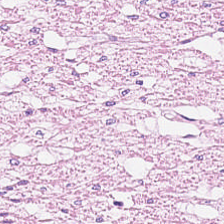Hematoxylin and eosin.
Q: What is shown here?
A: It is smooth-muscle tissue.
